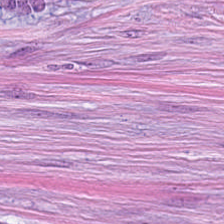H&E. 224×224 px tile. FFPE tissue section.
Showing desmoplastic stroma.
